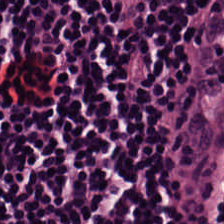Stain: H&E.
Resolution: 0.5 µm/px.
Preparation: FFPE.
Tissue: lymphoid infiltrate.
